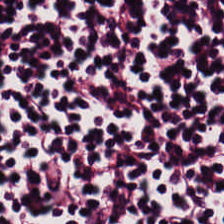Histology — lymphoid infiltrate.
